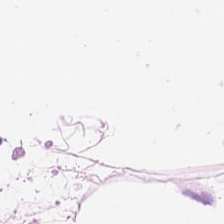H&E. 224×224 px patch.
Showing adipose tissue.
